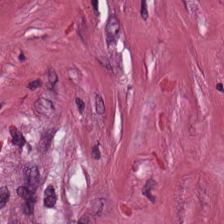Brightfield; 224×224 px tile; hematoxylin and eosin. Q: What is the predominant tissue type?
A: The field shows tumor-associated stroma.
